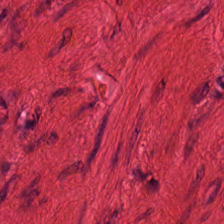Hematoxylin-and-eosin stained section. Formalin-fixed paraffin-embedded section — The tissue type is smooth-muscle tissue.
